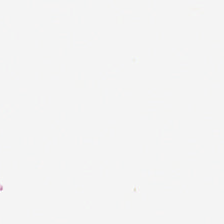224×224 px tile; hematoxylin and eosin. {"content": "background"}
